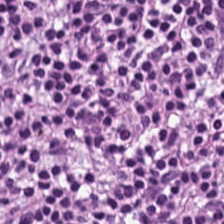H&E stain — Lymphocyte aggregate.
